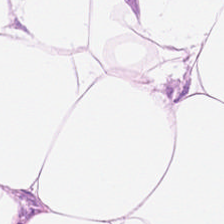H&E-stained tissue section · FFPE tissue section.
Tissue type: adipose tissue.
